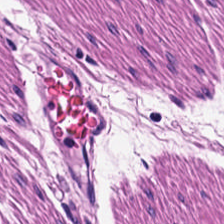0.5 µm per pixel · hematoxylin and eosin. Q: What is the predominant tissue type?
A: This is muscularis.
